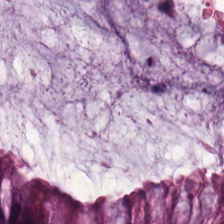224×224 pixel tile. Formalin-fixed paraffin-embedded section. Hematoxylin and eosin.
Predominant tissue — normal colon mucosa.
